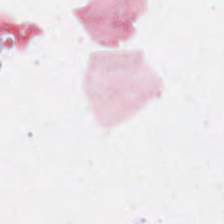H&E-stained tissue section — Background — no tissue in this field.
